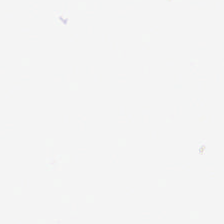Hematoxylin and eosin · FFPE tissue section — Background — no tissue in this field.
